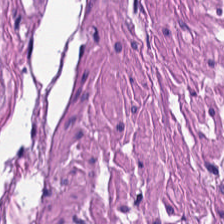Whole-slide-image patch. Hematoxylin and eosin — Smooth muscle.
